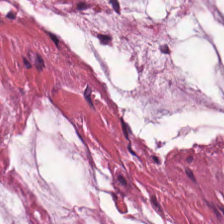Hematoxylin and eosin · FFPE tissue section · brightfield — This patch shows mucus.
